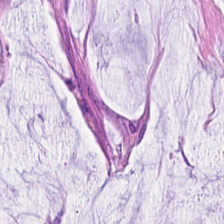Brightfield microscopy · hematoxylin and eosin.
Tissue type: mucin.
